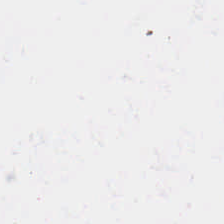H&E stain.
Finding → background.
